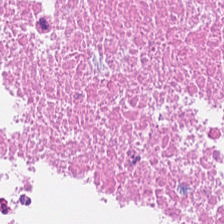{"tissue_type": "cellular debris"}
